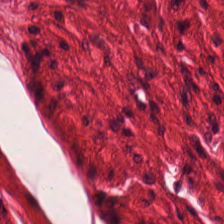H&E stain; brightfield microscopy; formalin-fixed paraffin-embedded section.
Predominantly smooth-muscle tissue.
